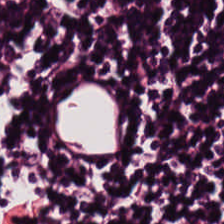Whole-slide-image patch; H&E; 0.5 µm/px — The predominant tissue is lymphocytes.
